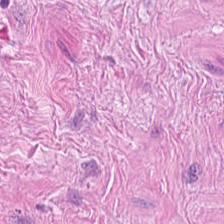H&E stain.
Tissue class: smooth-muscle tissue.
